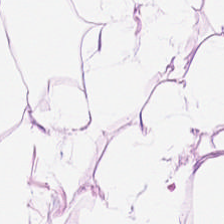H&E-stained tissue section — The classification is fat tissue.
